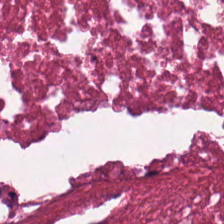Hematoxylin-and-eosin stained section. The predominant tissue is cellular debris.
